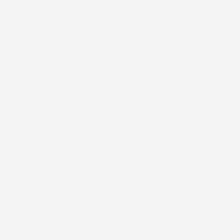Stain: hematoxylin-and-eosin stained section.
Field content: no tissue.
